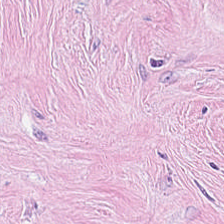H&E. Tissue class — tumor stroma.
